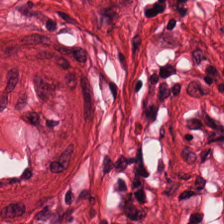H&E stain — Q: What is shown in this field?
A: This is smooth-muscle tissue.
